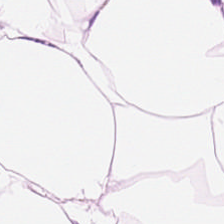Hematoxylin-and-eosin stained section. Adipocytes.
